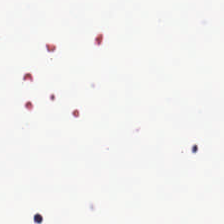H&E stain — This patch shows empty background.
